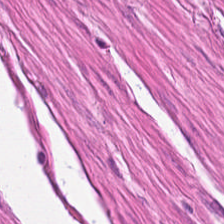Hematoxylin-and-eosin stained section. Whole-slide-image patch. FFPE tissue section. Q: What is shown in this field?
A: The field shows muscularis.
